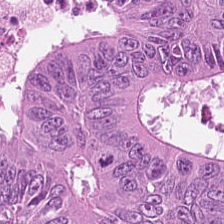H&E stain. The tissue here is colorectal adenocarcinoma epithelium.
